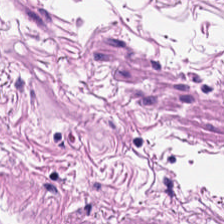0.5 µm/px. Hematoxylin-and-eosin stained section. Finding → smooth-muscle tissue.
